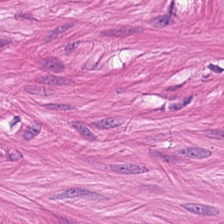Hematoxylin and eosin.
{"tissue_type": "muscularis"}
